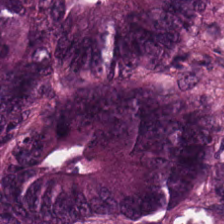This field is colorectal adenocarcinoma epithelium.
